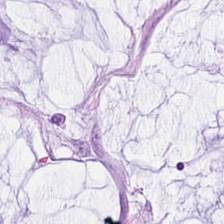Stain: H&E stain.
Predominant tissue: mucus.
